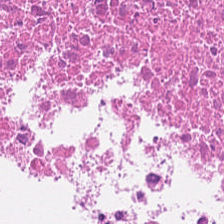H&E stain. WSI patch. 0.5 µm/px.
Q: What is shown in this field?
A: It is debris.
